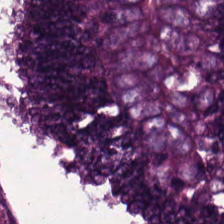Hematoxylin and eosin. Finding → malignant epithelium.
